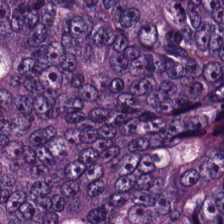Hematoxylin-and-eosin stained section. 0.5 microns per pixel — Finding → adenocarcinoma.
